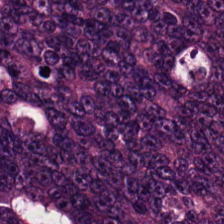H&E-stained tissue section; whole-slide-image patch. Tissue — colorectal adenocarcinoma epithelium.
